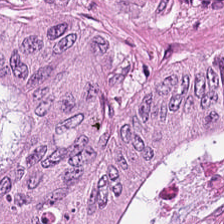Hematoxylin and eosin. Adenocarcinoma.
